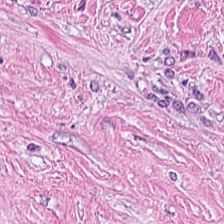Hematoxylin and eosin.
Q: Identify the tissue.
A: Cancer-associated stroma.
